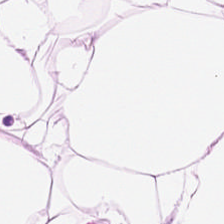H&E-stained tissue section. 224×224 px tile. Formalin-fixed paraffin-embedded section.
Tissue type — adipose.
